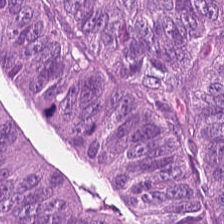Hematoxylin and eosin. FFPE. 224×224 px patch — Showing colorectal adenocarcinoma.
